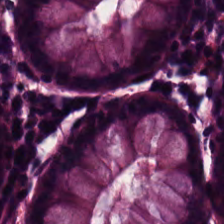H&E stain — Tissue class = benign colonic mucosa.
